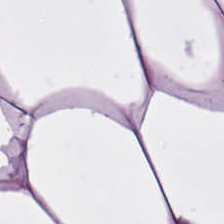H&E-stained tissue section. Tissue = adipocytes.
